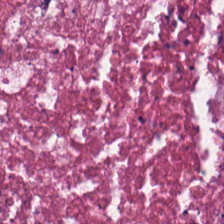Formalin-fixed paraffin-embedded section. H&E-stained tissue section. The predominant tissue is cellular debris.
